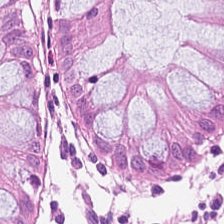Hematoxylin and eosin. 224×224 px patch. 0.5 µm per pixel.
Finding → non-neoplastic colon mucosa.
